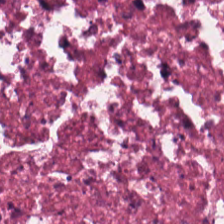H&E. WSI patch. 224×224 px patch — This field is necrotic debris.
